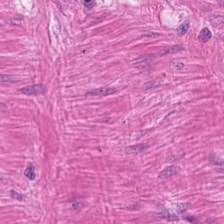FFPE; H&E — Tissue — muscularis.
